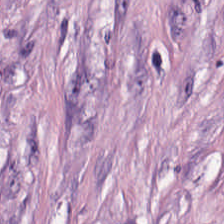224×224 pixel tile. Hematoxylin and eosin.
Q: What is the predominant tissue type?
A: It is desmoplastic stroma.
